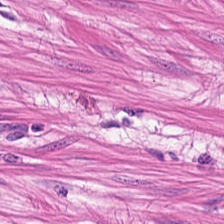Stain: H&E.
Resolution: 0.5 µm per pixel.
Classification: smooth-muscle tissue.
